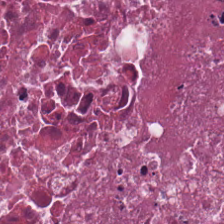FFPE tissue section · H&E stain · 224×224 px tile — Predominant tissue: cellular debris.
